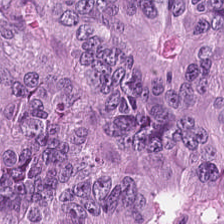Hematoxylin-and-eosin stained section.
This patch shows colorectal adenocarcinoma epithelium.
